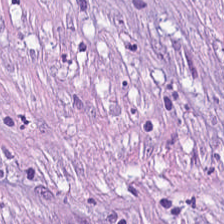H&E stain. Classification = cancer-associated stroma.
